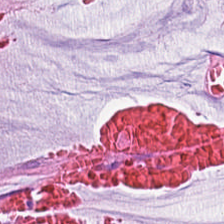H&E-stained tissue section. Tissue class — mucus.
